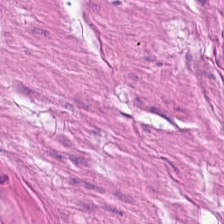0.5 µm per pixel; H&E stain. Finding → smooth muscle.
